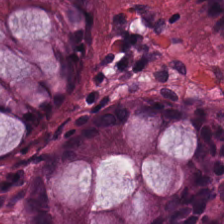Stain: hematoxylin-and-eosin stained section.
Predominant tissue: non-neoplastic colon mucosa.
